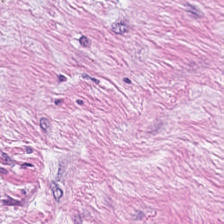Showing desmoplastic stroma.
